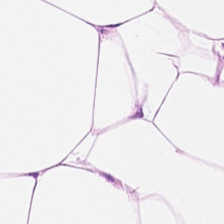0.5 µm per pixel. H&E. Predominantly fat tissue.
